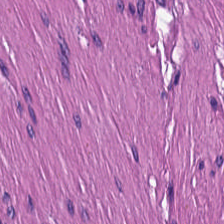Showing smooth-muscle tissue.
